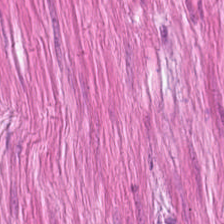0.5 µm per pixel. H&E stain. 224×224 px tile — Tissue type — smooth-muscle tissue.
